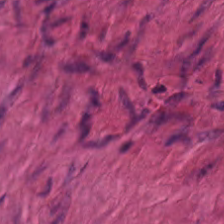{"tissue_type": "smooth muscle"}
